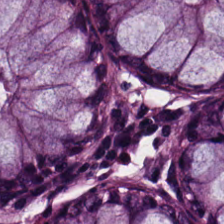Impression — normal colonic mucosa.
